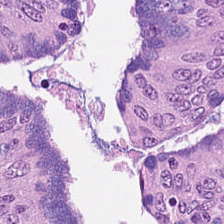Stain: H&E-stained tissue section.
Predominant tissue: colorectal adenocarcinoma.
